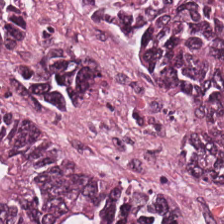H&E stain; whole-slide-image patch. The tissue here is adenocarcinoma.
